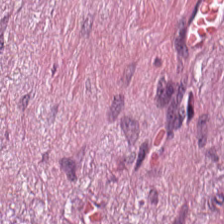Hematoxylin-and-eosin stained section. The predominant tissue is cancer-associated stroma.
